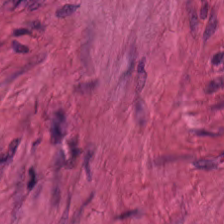Hematoxylin-and-eosin stained section — {"tissue_type": "muscularis"}
